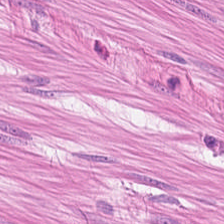H&E-stained tissue section. Q: What is the predominant tissue type?
A: Muscularis.
